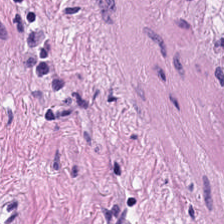The classification is smooth muscle.
